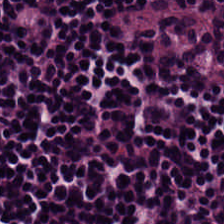Predominantly lymphocytes.
